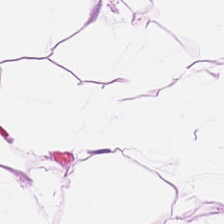H&E stain. Q: What tissue type is shown here?
A: Fat tissue.
